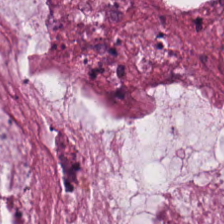Hematoxylin and eosin.
Tissue — extracellular mucin.
